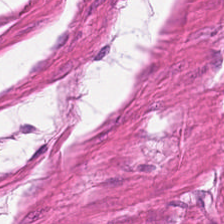Hematoxylin and eosin. 224×224 px patch. This patch shows muscularis.
